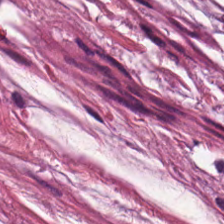H&E; whole-slide-image patch — This field is mucus.
